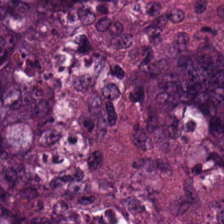H&E; WSI patch — {"tissue_type": "colorectal adenocarcinoma epithelium"}
